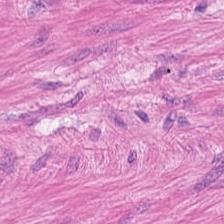H&E stain · formalin-fixed paraffin-embedded section · 0.5 µm/px — Finding → smooth muscle.
